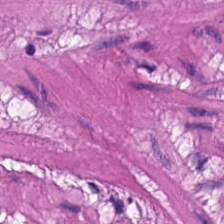H&E stain. Predominant tissue: muscularis.
